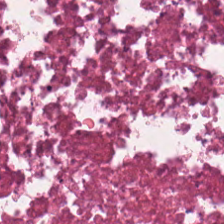224×224 px patch; hematoxylin and eosin.
Classification = necrotic debris.
